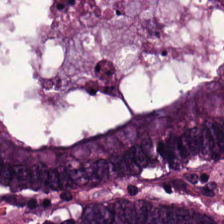H&E stain. The predominant tissue is tumor epithelium.
